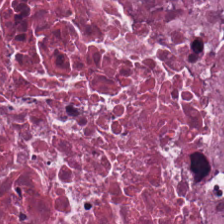Hematoxylin and eosin — The tissue class is debris.
